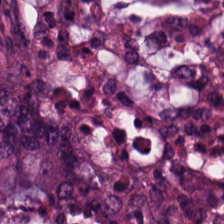Hematoxylin and eosin — Tissue — adenocarcinoma.
